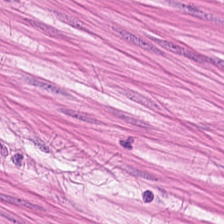H&E — smooth muscle.
